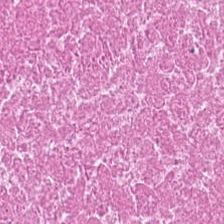H&E.
The tissue is necrotic debris.
